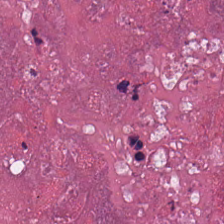Hematoxylin-and-eosin stained section — Finding — necrotic debris.
